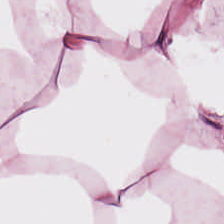This patch shows adipocytes.
